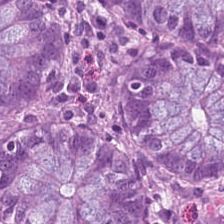H&E stain. This patch shows benign colonic mucosa.
